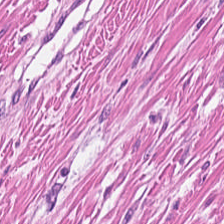224×224 px patch; hematoxylin-and-eosin stained section.
Q: What is shown here?
A: This is smooth muscle.
